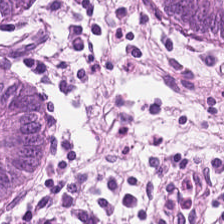H&E-stained tissue section.
This field is non-neoplastic colon mucosa.
